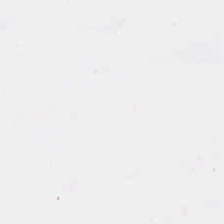Hematoxylin and eosin. WSI patch.
Q: What is shown in this field?
A: It is background (no tissue).
